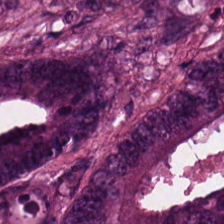Hematoxylin-and-eosin stained section. FFPE.
Finding → malignant epithelium.
